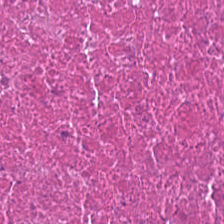Q: What tissue type is shown here?
A: The field shows debris.
